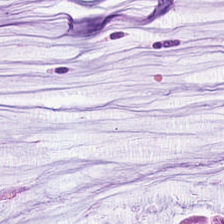Hematoxylin-and-eosin stained section — Showing mucus.
